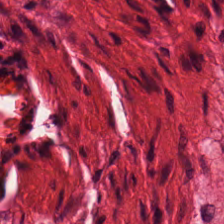Whole-slide-image patch; H&E. The tissue class is smooth muscle.
